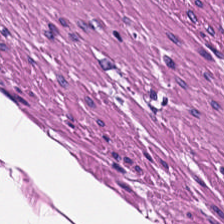H&E stain; 20× equivalent magnification.
Showing smooth muscle.
